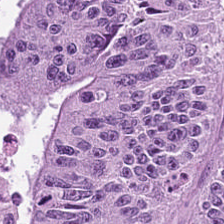Q: What type of tissue is this?
A: Malignant epithelium.
